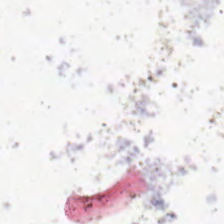Hematoxylin-and-eosin stained section.
This patch shows background.
